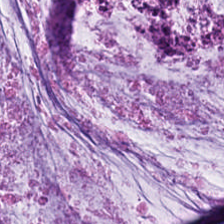Stain: H&E stain.
Tissue: mucus.
